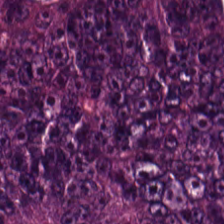Q: What is shown in this field?
A: Colorectal adenocarcinoma.
